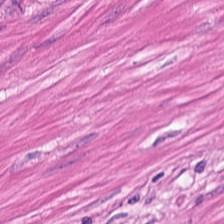Hematoxylin-and-eosin stained section.
The predominant tissue is muscularis.
